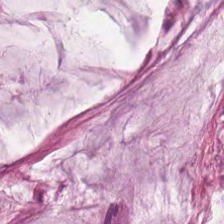FFPE; 224×224 px patch; H&E-stained tissue section. Q: Classify this patch.
A: The field shows mucus.
